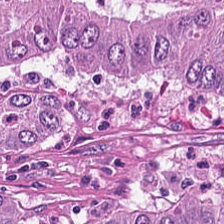Impression → colorectal adenocarcinoma epithelium.
